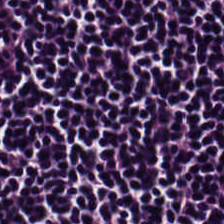Hematoxylin-and-eosin section: lymphoid infiltrate.
